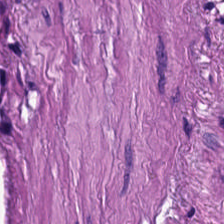H&E; 224×224 px patch.
Q: What type of tissue is this?
A: The field shows smooth muscle.
